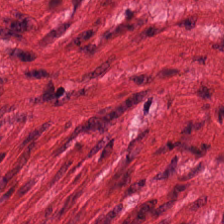Hematoxylin-and-eosin stained section.
Predominantly smooth muscle.
